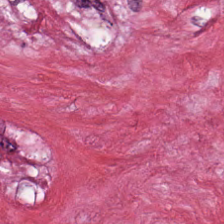Hematoxylin-and-eosin stained section · 0.5 microns per pixel.
Impression → cancer-associated stroma.
